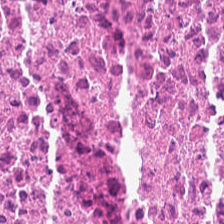Predominantly cellular debris.
